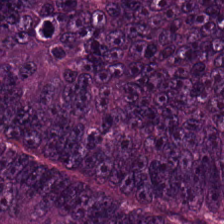The predominant tissue is colorectal adenocarcinoma epithelium.
